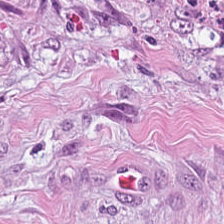Whole-slide-image patch · H&E — Classification — cancer-associated stroma.
